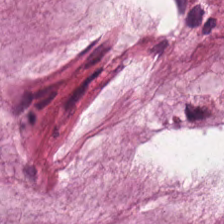Predominant tissue: extracellular mucin.
